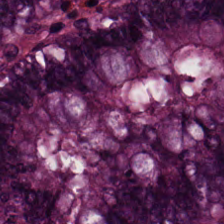Hematoxylin and eosin.
Histology → normal colon mucosa.
